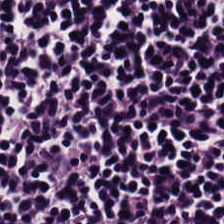Tissue — lymphoid infiltrate.
